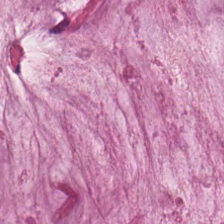Stain: H&E.
Tissue class: mucin.
